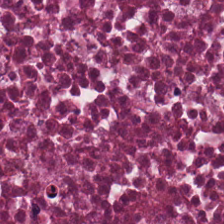H&E.
Q: Identify the tissue.
A: This is necrotic debris.
